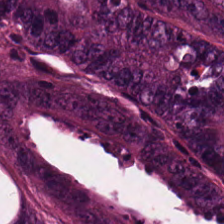FFPE tissue section; H&E-stained tissue section — The classification is malignant epithelium.
